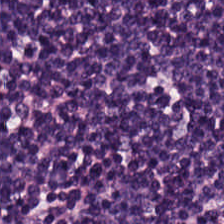H&E-stained tissue section. The tissue type is lymphocyte aggregate.
